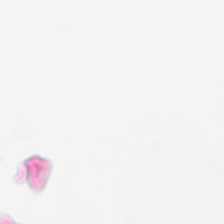Hematoxylin-and-eosin stained section. The classification is empty background.
